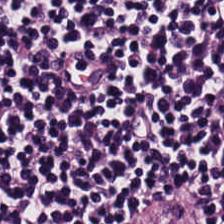Stain: H&E-stained tissue section.
Tissue class: lymphocytes.
